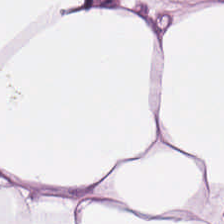Hematoxylin-and-eosin stained section · 0.5 µm per pixel.
This patch shows adipose tissue.
